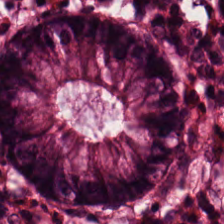Stain: H&E-stained tissue section.
Predominant tissue: benign colonic mucosa.
